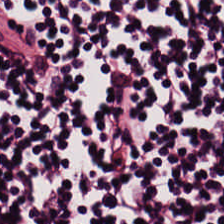H&E-stained tissue section · formalin-fixed paraffin-embedded section — Lymphocyte aggregate.
